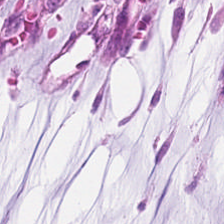This patch shows mucus.
